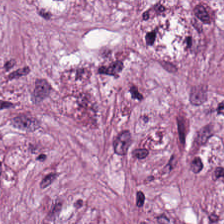Hematoxylin-and-eosin stained section.
Tissue type = cancer-associated stroma.
